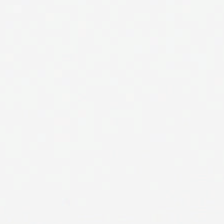H&E stain. Content — empty background.
